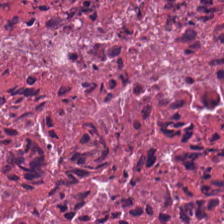Showing debris.
